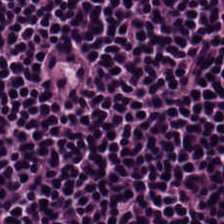H&E. The tissue class is lymphoid infiltrate.
